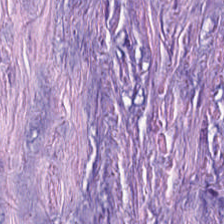Stain: hematoxylin and eosin.
Tissue class: tumor-associated stroma.
